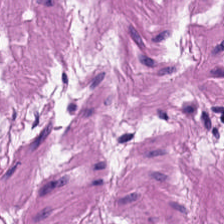Brightfield. H&E. 224×224 pixel tile — The tissue is smooth muscle.
